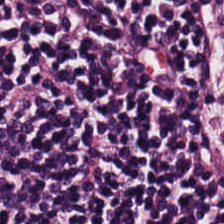H&E-stained tissue section; 224×224 px patch. Tissue = lymphocytic infiltrate.
